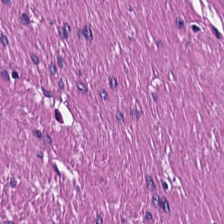Hematoxylin-and-eosin stained section. Brightfield. Tissue — smooth muscle.
